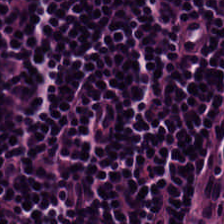Hematoxylin and eosin.
Predominant tissue: lymphocytes.
